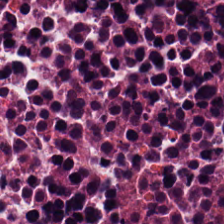0.5 microns per pixel. Hematoxylin and eosin. This field is cellular debris.
